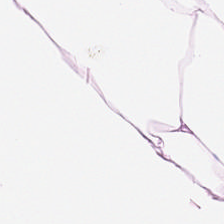FFPE · H&E stain. This field is adipose.
